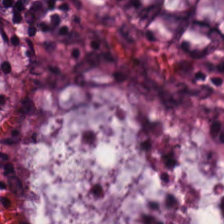FFPE; H&E-stained tissue section. The tissue class is benign colonic mucosa.
